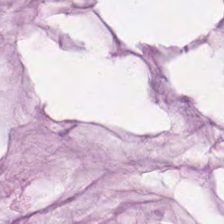Stain: hematoxylin and eosin.
Tissue: mucus.
